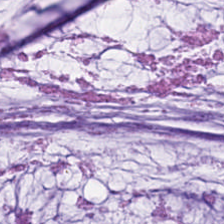0.5 microns per pixel; hematoxylin and eosin; 224×224 px patch. Q: Identify the tissue.
A: The field shows mucus.
